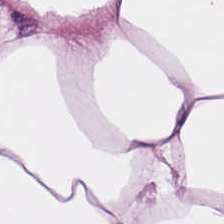Hematoxylin-and-eosin stained section.
This field is adipocytes.
